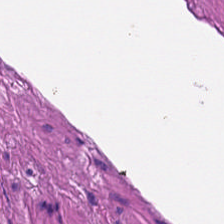Hematoxylin-and-eosin stained section. Q: What is the predominant tissue type?
A: The field shows muscularis.
